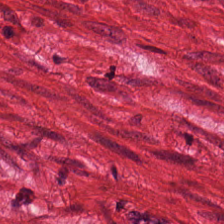Hematoxylin-and-eosin stained section.
Q: What is shown in this field?
A: It is muscularis.
